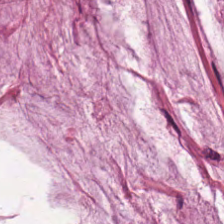Histology — extracellular mucin.
